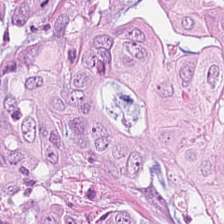224×224 px tile · hematoxylin-and-eosin stained section.
The tissue here is colorectal adenocarcinoma.
